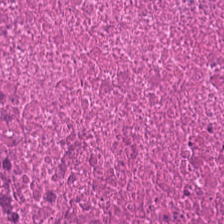H&E-stained tissue section — Cellular debris.
